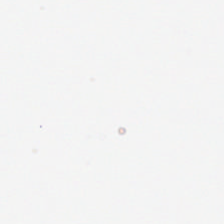0.5 µm per pixel. H&E — Q: What is shown in this field?
A: This is background.
